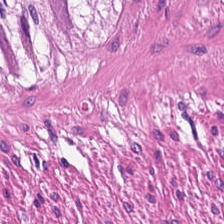H&E-stained tissue section.
The tissue here is muscularis.
